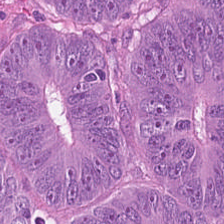H&E stain · 224×224 pixel tile.
{"tissue_type": "colorectal adenocarcinoma epithelium"}
